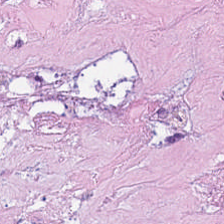H&E-stained tissue section.
Histology → cellular debris.
